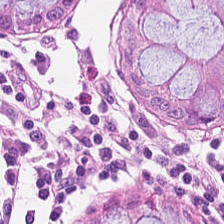Predominant tissue — benign colonic mucosa.
